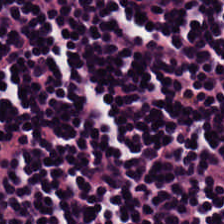The predominant tissue is lymphoid infiltrate.
